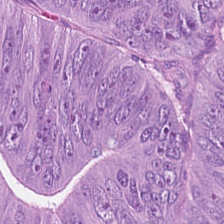H&E; 0.5 microns per pixel; 224×224 pixel tile. Finding → tumor epithelium.
